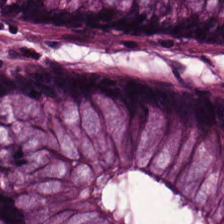H&E stain.
This patch shows benign colonic mucosa.
